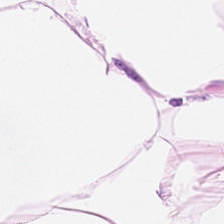H&E — adipose tissue.
